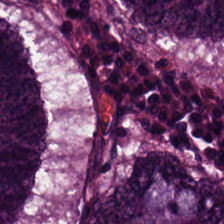H&E-stained section; the field shows tumor epithelium.
